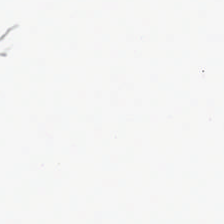Hematoxylin and eosin; FFPE — Content: background.
